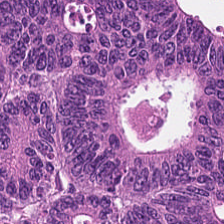Hematoxylin-and-eosin stained section · FFPE tissue section · brightfield microscopy.
{"tissue_type": "tumor epithelium"}
